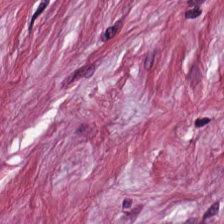0.5 microns per pixel. H&E stain. 224×224 px patch.
This field is desmoplastic stroma.
